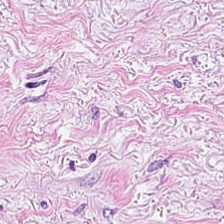0.5 µm per pixel; H&E stain; FFPE — Predominantly tumor-associated stroma.
